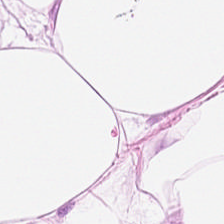Hematoxylin and eosin — This patch shows adipose tissue.
